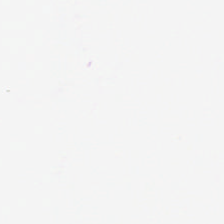Background — no tissue in this field.
